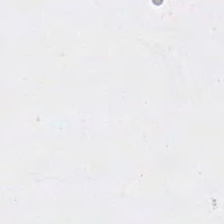No tissue.
